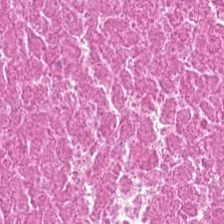H&E stain · 0.5 microns per pixel — Necrotic debris.
